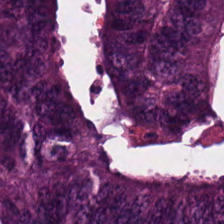Hematoxylin and eosin.
{"tissue_type": "malignant epithelium"}
